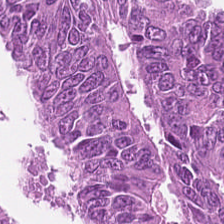H&E stain. Tissue type: colorectal adenocarcinoma.
